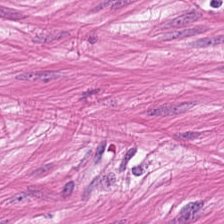224×224 px tile · H&E stain · WSI patch.
Finding — muscularis.
